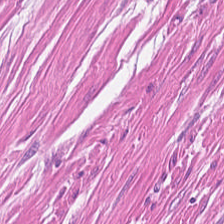Hematoxylin and eosin.
Q: What type of tissue is this?
A: It is smooth muscle.
